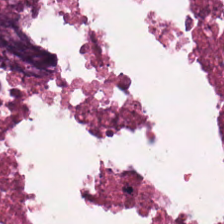H&E · 224×224 px tile — Showing debris.
